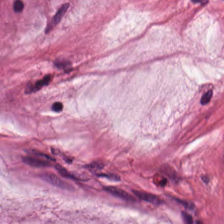224×224 px tile. Hematoxylin-and-eosin stained section. Predominant tissue = mucus.
